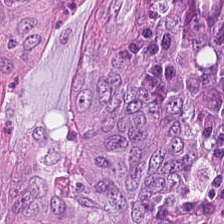FFPE tissue section · H&E. Colorectal adenocarcinoma epithelium.
